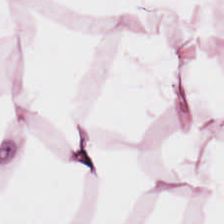H&E stain — This patch shows adipose tissue.
